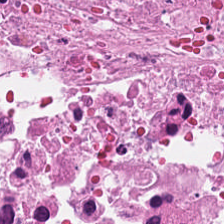Brightfield; hematoxylin-and-eosin stained section. Debris.
